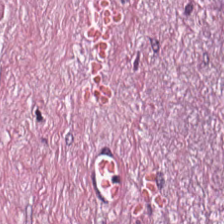Classification = tumor-associated stroma.
